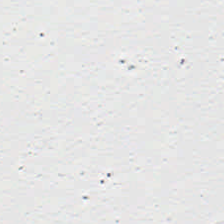Hematoxylin-and-eosin stained section; 20× equivalent magnification; FFPE tissue section.
{"content": "empty background"}
